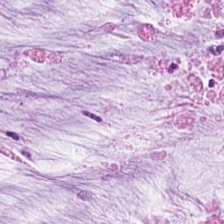The tissue is extracellular mucin.
